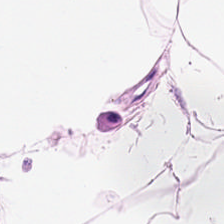Stain: hematoxylin-and-eosin stained section.
Predominant tissue: adipose tissue.
